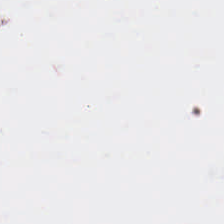H&E-stained tissue section · 224×224 pixel tile — {"content": "no tissue"}
